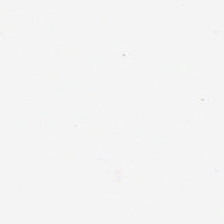Whole-slide-image patch. H&E-stained tissue section.
No tissue.
